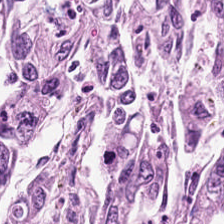Stain: hematoxylin-and-eosin stained section.
Preparation: FFPE tissue section.
Tissue type: colorectal adenocarcinoma.
